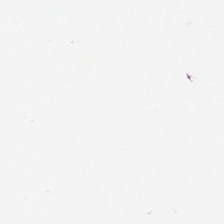H&E. Background — no tissue in this field.
